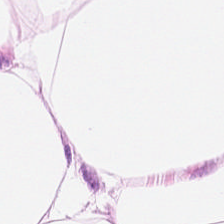Q: What is the predominant tissue type?
A: Adipocytes.
